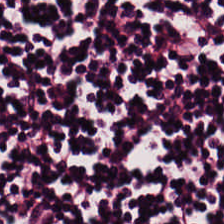Showing lymphocyte aggregate.
